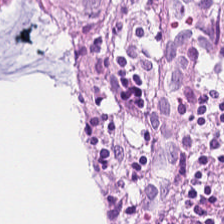Hematoxylin-and-eosin stained section; 0.5 µm/px.
The predominant tissue is normal colon mucosa.
